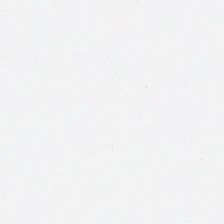H&E — Q: What does this patch show?
A: It is empty background.
